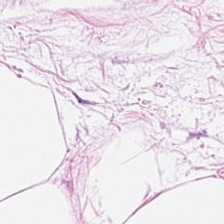FFPE tissue section · H&E stain. Histology → fat tissue.
